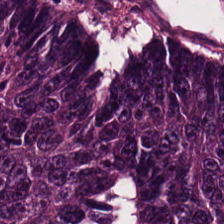H&E. The tissue here is adenocarcinoma.
